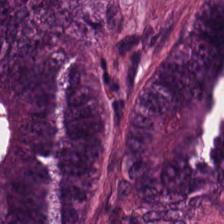Brightfield · H&E.
This field is tumor epithelium.
